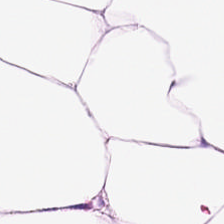This field is fat tissue.
